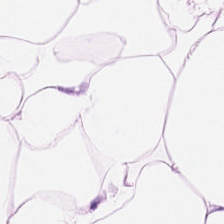H&E stain. Predominant tissue — adipose.
